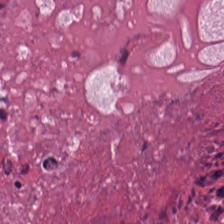Stain: H&E.
Resolution: 0.5 µm/px.
Tissue: debris.
